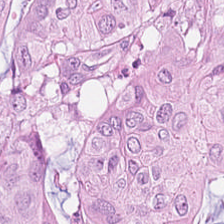Hematoxylin and eosin. Formalin-fixed paraffin-embedded section. Classification — tumor epithelium.
